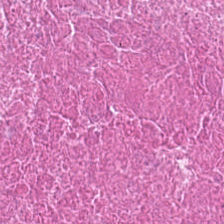Stain: hematoxylin-and-eosin stained section.
Preparation: FFPE.
Tile size: 224×224 px tile.
Tissue: debris.
